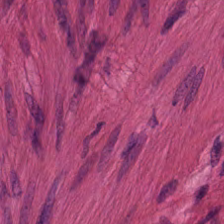Hematoxylin-and-eosin stained section. The tissue class is smooth-muscle tissue.
